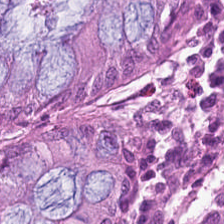FFPE tissue section. Hematoxylin-and-eosin stained section — Q: What is the predominant tissue type?
A: It is normal colonic mucosa.
